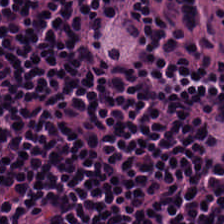Histology — lymphocytic infiltrate.
